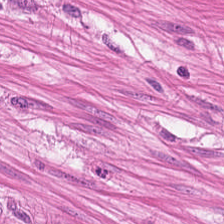Predominant tissue — smooth-muscle tissue.
